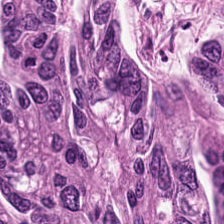Hematoxylin and eosin · 224×224 pixel tile · whole-slide-image patch.
Classification = malignant epithelium.
